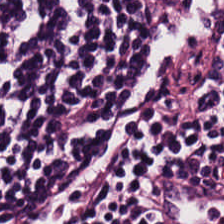Hematoxylin-and-eosin section: lymphocytic infiltrate.
